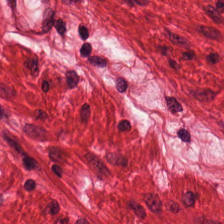Q: What does this patch show?
A: It is smooth-muscle tissue.
